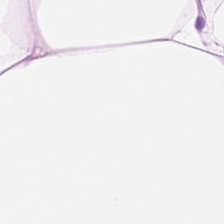Hematoxylin and eosin. Classification = adipose.
